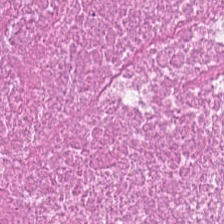20× equivalent magnification; hematoxylin and eosin — Showing debris.
